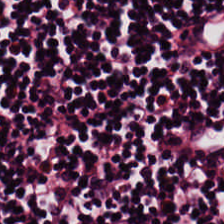H&E-stained tissue section. Finding — lymphocytic infiltrate.
